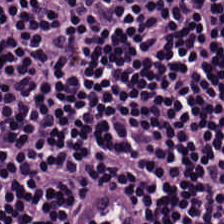H&E. 224×224 px tile — Finding → lymphocytic infiltrate.
